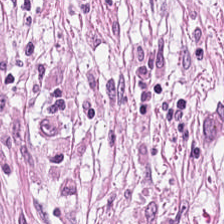The tissue type is cancer-associated stroma.
